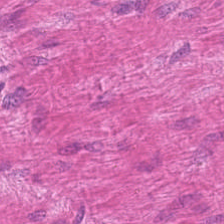H&E.
This patch shows smooth-muscle tissue.
